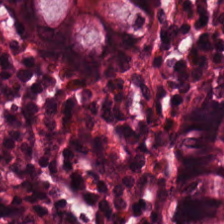H&E-stained tissue section — Histology — normal colon mucosa.
